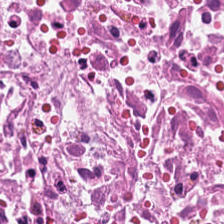Stain: H&E stain.
Tissue class: debris.
